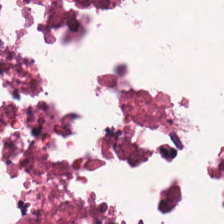224×224 pixel tile; H&E-stained tissue section.
This field is debris.
